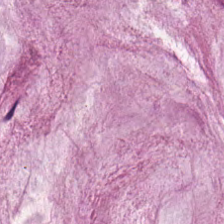The tissue here is mucin.
